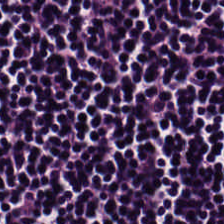H&E.
This patch shows lymphoid infiltrate.
